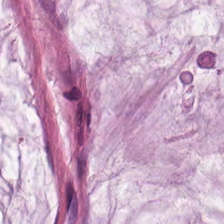H&E patch showing extracellular mucin.
